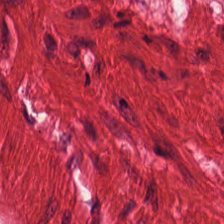Q: What is the predominant tissue type?
A: It is muscularis.
